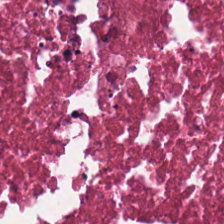FFPE; hematoxylin-and-eosin stained section — Classification: cellular debris.
